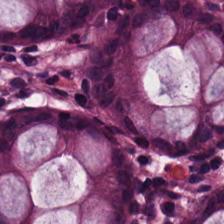20× equivalent magnification; 224×224 px tile; H&E stain. Q: What is the predominant tissue type?
A: This is benign colonic mucosa.
